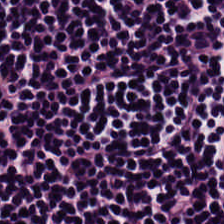H&E-stained tissue section. WSI patch.
Impression — lymphoid infiltrate.
